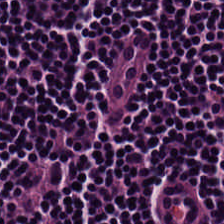Hematoxylin and eosin. Q: Classify this patch.
A: The field shows lymphoid infiltrate.
